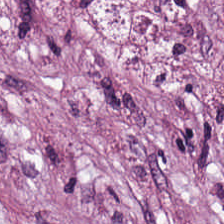Stain: H&E.
Tissue: cancer-associated stroma.
